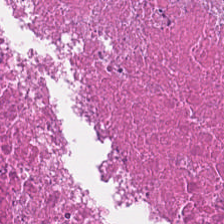WSI patch; hematoxylin and eosin — This patch shows debris.
